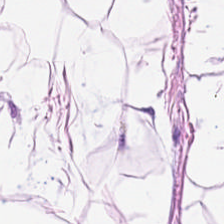H&E-stained tissue section. The tissue here is adipose.
